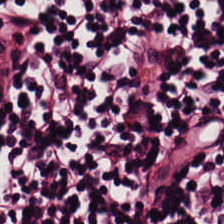Lymphocyte aggregate.
